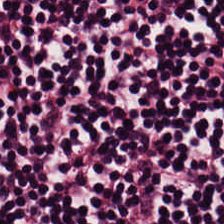Stain: hematoxylin-and-eosin stained section.
Tissue class: lymphocytic infiltrate.
